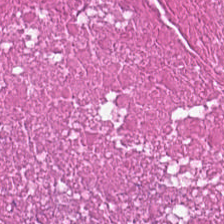Impression — debris.
